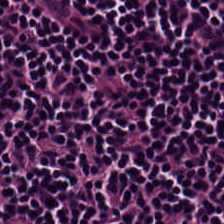{"tissue_type": "lymphocytes"}
